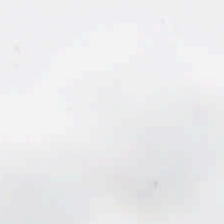FFPE. Hematoxylin and eosin. Q: Classify this patch.
A: The field shows background (no tissue).
